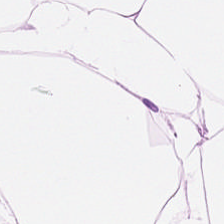Hematoxylin-and-eosin stained section · 20× equivalent magnification. The tissue here is adipocytes.
